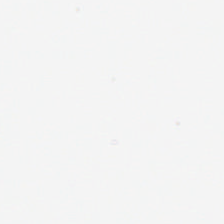H&E. Background — no tissue in this field.
